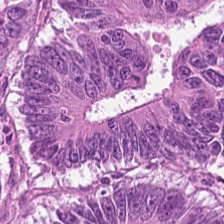H&E stain · brightfield microscopy · 224×224 px patch.
Predominantly adenocarcinoma.
